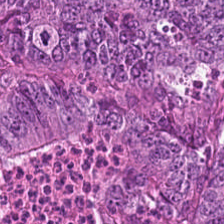H&E stain · 224×224 pixel tile — Malignant epithelium.
